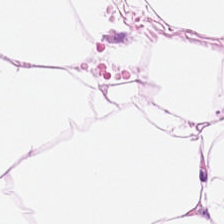Hematoxylin-and-eosin stained section; whole-slide-image patch.
Tissue — adipose.
